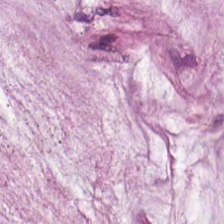H&E patch showing mucin.
